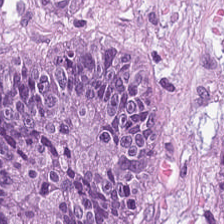Hematoxylin-and-eosin stained section; WSI patch; 0.5 microns per pixel. The tissue type is malignant epithelium.
